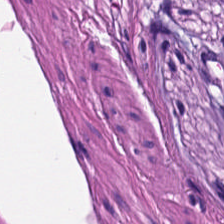Hematoxylin-and-eosin stained section — Tissue: smooth-muscle tissue.
